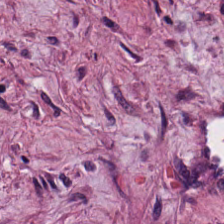FFPE tissue section; H&E stain — Predominantly cancer-associated stroma.
